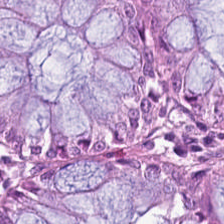Stain: H&E.
Tile size: 224×224 px tile.
Acquisition: brightfield.
Tissue class: normal colon mucosa.
